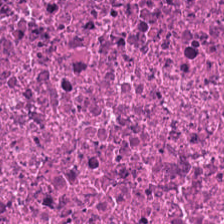Stain: H&E stain.
Tissue type: cellular debris.
